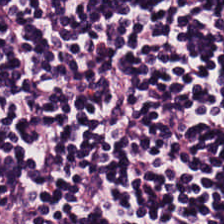Hematoxylin and eosin — {"tissue_type": "lymphocyte aggregate"}
